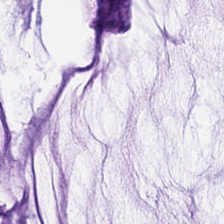Stain: hematoxylin-and-eosin stained section.
Tissue class: mucus.
